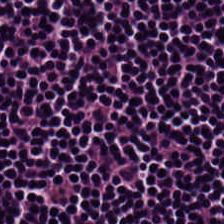Stain: H&E.
Tissue class: lymphocyte aggregate.
